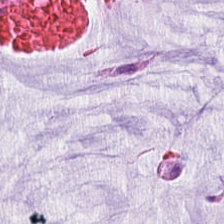The tissue here is mucin.
